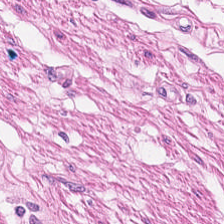Hematoxylin-and-eosin section: smooth-muscle tissue.
